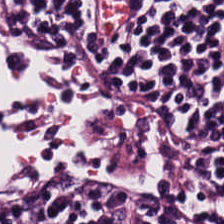H&E. WSI patch. Formalin-fixed paraffin-embedded section.
Q: What is the predominant tissue type?
A: The field shows lymphocytic infiltrate.
